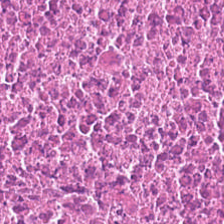Stain: hematoxylin and eosin.
Resolution: 0.5 µm/px.
Tissue class: debris.
